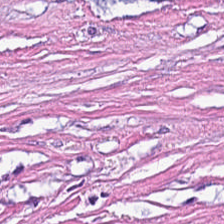Whole-slide-image patch; 224×224 px patch; H&E-stained tissue section.
Predominantly cancer-associated stroma.
